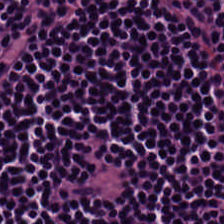H&E stain — Q: What is shown in this field?
A: It is lymphoid infiltrate.
